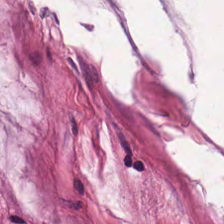The tissue type is extracellular mucin.
